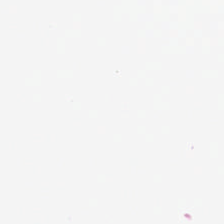Q: Classify this patch.
A: No tissue.
